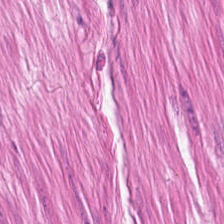FFPE tissue section; H&E — The predominant tissue is muscularis.
